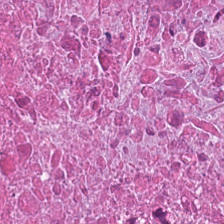Stain: H&E.
Tissue class: cellular debris.
